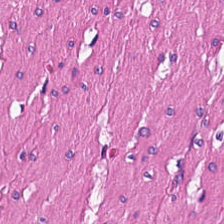Hematoxylin-and-eosin stained section. Smooth-muscle tissue.
